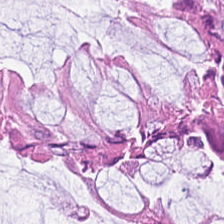0.5 microns per pixel · FFPE · H&E stain — This patch shows normal colon mucosa.
